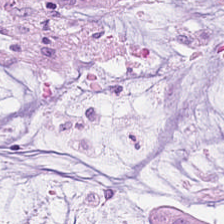Stain: hematoxylin and eosin.
Tissue type: mucin.
